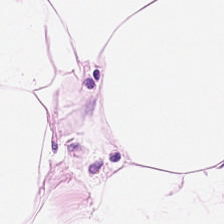H&E-stained tissue section. 20× equivalent magnification. The tissue class is adipose.
